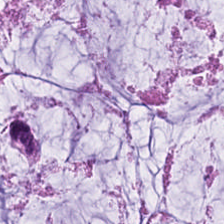Hematoxylin and eosin — The predominant tissue is mucus.
